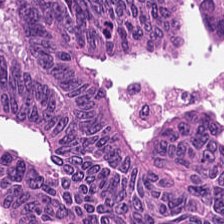H&E stain.
Tumor epithelium.
